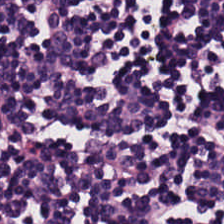Q: What type of tissue is this?
A: It is lymphoid infiltrate.
